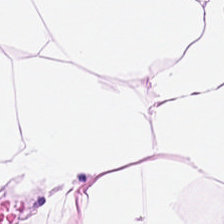H&E. {"tissue_type": "adipose"}
